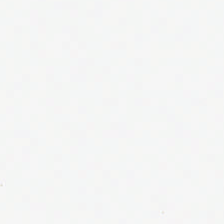Background — no tissue in this field.
